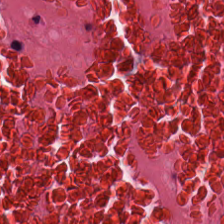0.5 microns per pixel. 224×224 pixel tile. H&E stain. This patch shows cellular debris.
